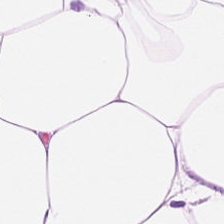0.5 µm/px. H&E.
Predominantly fat tissue.
